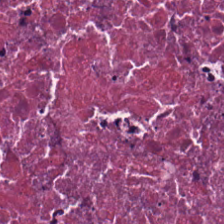Hematoxylin and eosin. {"tissue_type": "debris"}
